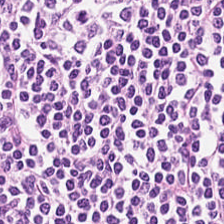Formalin-fixed paraffin-embedded section · hematoxylin and eosin · whole-slide-image patch — This patch shows lymphoid infiltrate.
